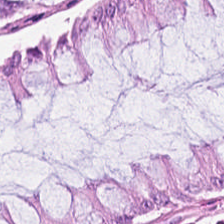The predominant tissue is normal colonic mucosa.
